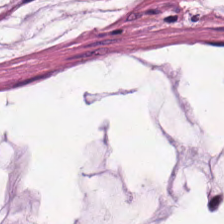Stain: H&E-stained tissue section.
Resolution: 0.5 microns per pixel.
Tile size: 224×224 pixel tile.
Tissue type: extracellular mucin.
